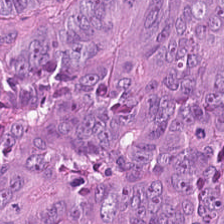Q: Identify the tissue.
A: Colorectal adenocarcinoma.
